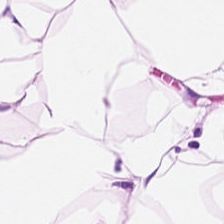H&E stain.
Q: Classify this patch.
A: The field shows fat tissue.
